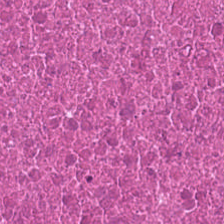Predominantly necrotic debris.
